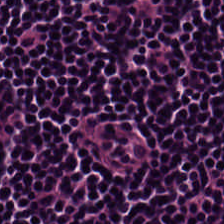Hematoxylin-and-eosin stained section · 224×224 px patch — Q: What is the predominant tissue type?
A: The field shows lymphocyte aggregate.
